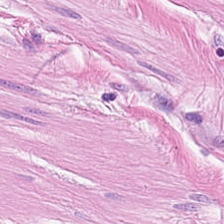H&E-stained tissue section · FFPE. This patch shows muscularis.
